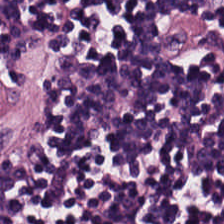Hematoxylin-and-eosin stained section — The predominant tissue is lymphocyte aggregate.
